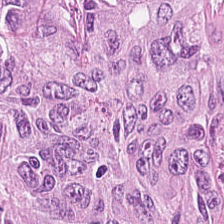Tissue class — colorectal adenocarcinoma epithelium.
